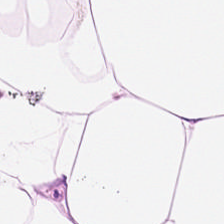Hematoxylin-and-eosin stained section · brightfield microscopy. Q: What is the predominant tissue type?
A: Adipose.
